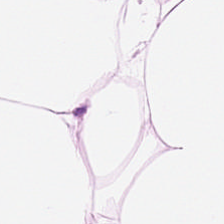224×224 px tile · H&E-stained tissue section — Showing adipose tissue.
